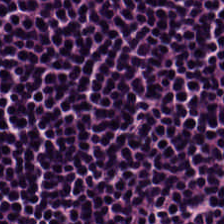The tissue class is lymphoid infiltrate.
